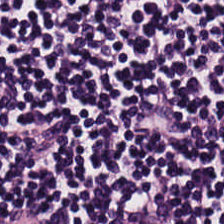H&E-stained section; the field shows lymphoid infiltrate.
